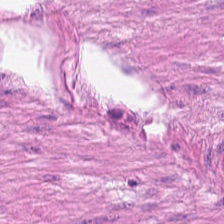Tissue: muscularis.
